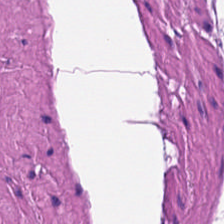H&E-stained tissue section; 224×224 pixel tile; FFPE — Tissue class: muscularis.
